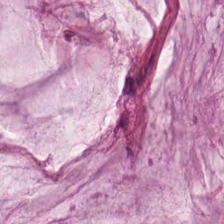H&E. {"tissue_type": "mucus"}
